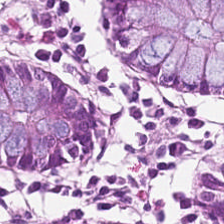Predominant tissue = normal colonic mucosa.
